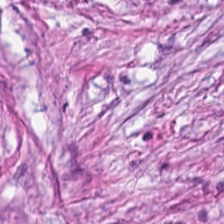Tissue type — tumor-associated stroma.
